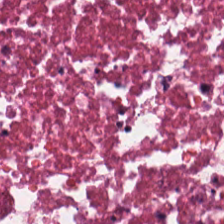H&E-stained tissue section. This field is debris.
